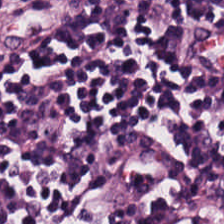This field is lymphocytes.
